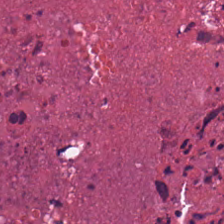WSI patch. H&E stain. Formalin-fixed paraffin-embedded section — {"tissue_type": "cellular debris"}
